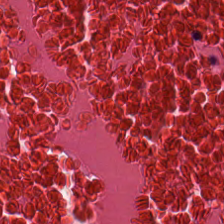Hematoxylin and eosin — Finding — necrotic debris.
